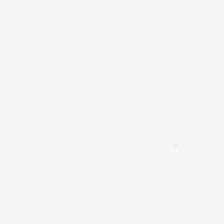Hematoxylin-and-eosin stained section — This field is background (no tissue).
